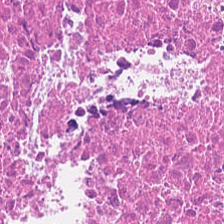Stain: hematoxylin-and-eosin stained section.
Resolution: 0.5 µm per pixel.
Classification: debris.
